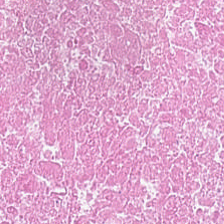Hematoxylin and eosin. Finding → necrotic debris.
